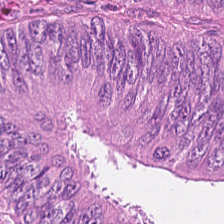Predominant tissue — malignant epithelium.
